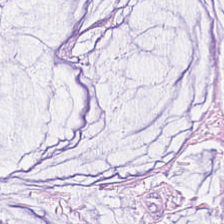This patch shows mucus.
